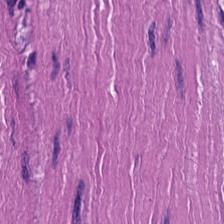Hematoxylin-and-eosin stained section — Histology → muscularis.
